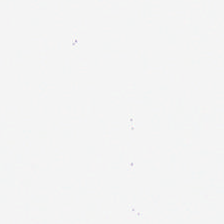Hematoxylin-and-eosin stained section. Q: What is shown here?
A: It is background.
